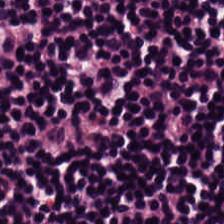H&E-stained tissue section · brightfield. This patch shows lymphocyte aggregate.
